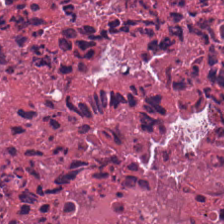H&E-stained tissue section showing necrotic debris.
